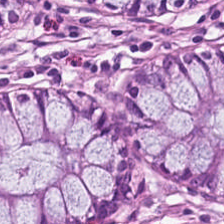Hematoxylin-and-eosin stained section · 224×224 px tile. This field is normal colon mucosa.
